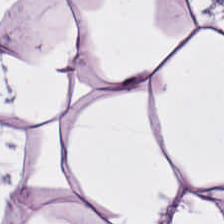H&E-stained tissue section · 224×224 px tile. Impression → adipose.
